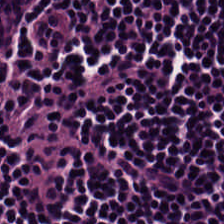Classification — lymphoid infiltrate.
